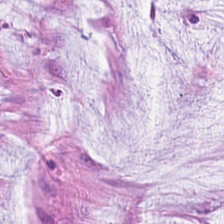Hematoxylin and eosin. Showing mucin.
